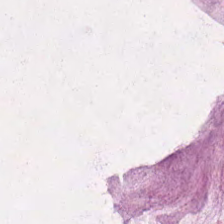Hematoxylin and eosin; 224×224 px tile.
The predominant tissue is mucus.
